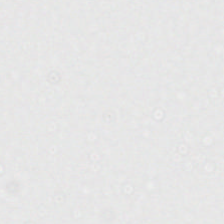WSI patch · FFPE tissue section · H&E stain. Background — no tissue in this field.
